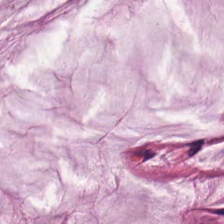The tissue here is mucin.
